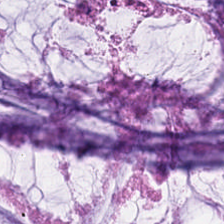Hematoxylin-and-eosin stained section; brightfield microscopy.
Tissue = mucin.
